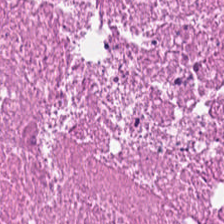H&E; 224×224 px tile; 0.5 microns per pixel — The classification is debris.
